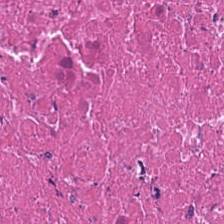H&E-stained tissue section; 0.5 µm per pixel; 224×224 px tile. Showing cellular debris.
